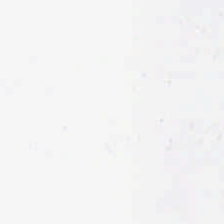Finding → no tissue.
